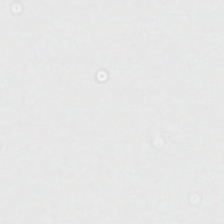H&E.
{"content": "background"}
